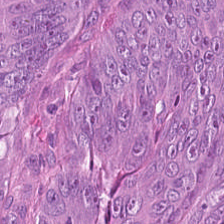FFPE · H&E-stained tissue section. Classification: malignant epithelium.
